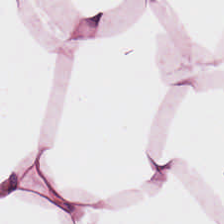FFPE; hematoxylin-and-eosin stained section.
The tissue here is adipocytes.
